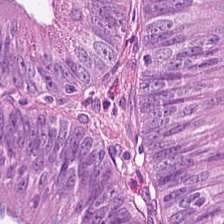Tissue: colorectal adenocarcinoma.
